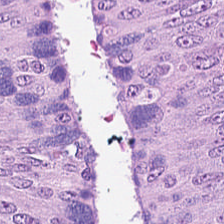0.5 µm/px. H&E stain.
{"tissue_type": "colorectal adenocarcinoma"}
